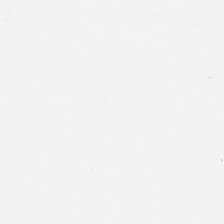H&E-stained tissue section. Brightfield.
Impression — background.
